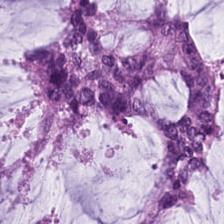Classification: extracellular mucin.
